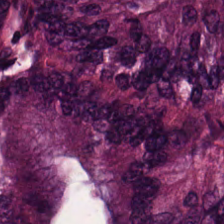Stain: H&E stain.
Tissue: adenocarcinoma.
